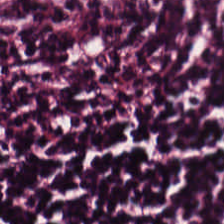Predominant tissue: lymphocyte aggregate.
